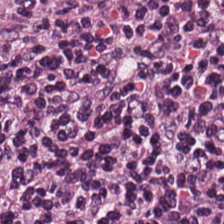Hematoxylin-and-eosin stained section — Finding — lymphocytes.
